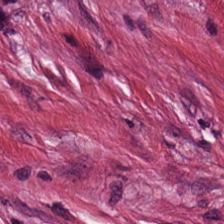Stain: hematoxylin and eosin.
Tissue class: desmoplastic stroma.
